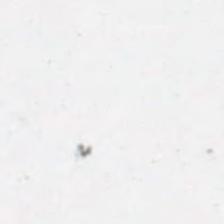Stain: H&E stain.
Content: no tissue.
